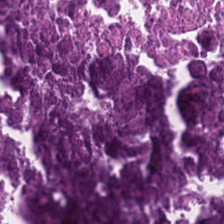Hematoxylin-and-eosin stained section.
Predominantly debris.
